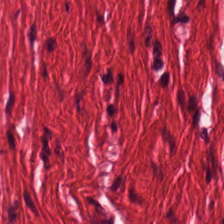H&E-stained tissue section — Classification: smooth-muscle tissue.
